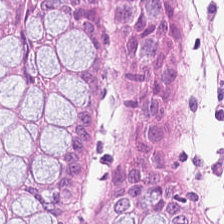Hematoxylin-and-eosin stained section — {"tissue_type": "benign colonic mucosa"}
